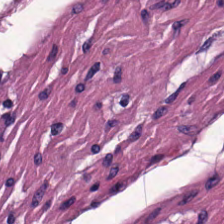H&E stain. Predominantly muscularis.
